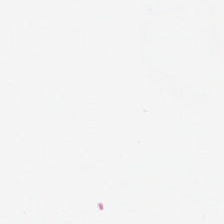20× equivalent magnification. H&E — Q: What is shown here?
A: The field shows background.
